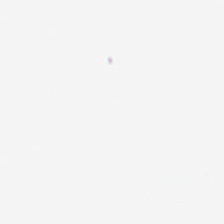H&E — Field content — background (no tissue).
